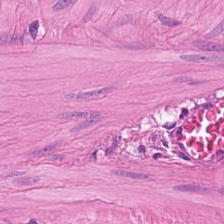0.5 µm per pixel · H&E-stained tissue section — Tissue — smooth-muscle tissue.
